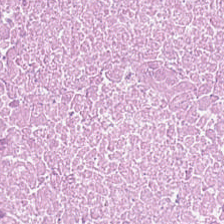Hematoxylin-and-eosin stained section · WSI patch. The tissue here is debris.
